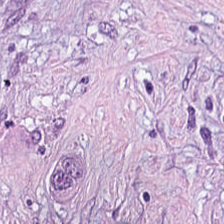Hematoxylin and eosin.
Q: What tissue is shown?
A: The field shows tumor stroma.
